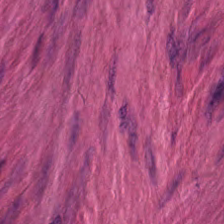H&E stain. 0.5 µm/px. 224×224 px patch.
This field is smooth muscle.
